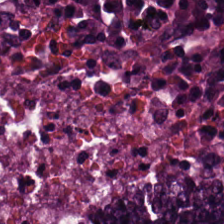Hematoxylin and eosin · FFPE tissue section · 224×224 px patch. Impression — colorectal adenocarcinoma.
